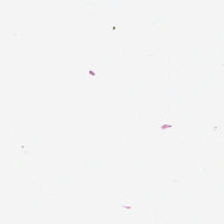H&E.
No tissue present; background only.
